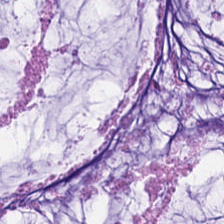H&E stain.
The tissue type is extracellular mucin.
